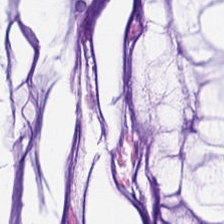Stain: H&E stain.
Tissue: mucus.
